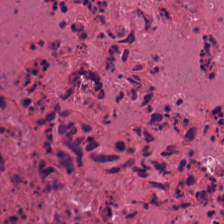The tissue is necrotic debris.
